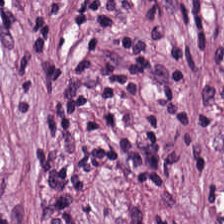Hematoxylin-and-eosin stained section · 224×224 px tile · formalin-fixed paraffin-embedded section — The tissue here is tumor-associated stroma.
